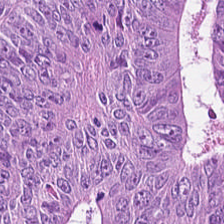0.5 µm per pixel. H&E stain. WSI patch. Histology → adenocarcinoma.
